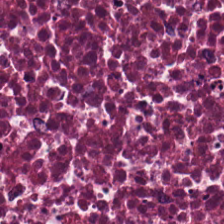Tissue — necrotic debris.
